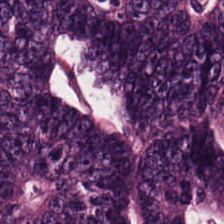{"tissue_type": "malignant epithelium"}
